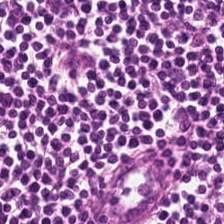Hematoxylin-and-eosin stained section. 224×224 px tile — Predominantly lymphoid infiltrate.
